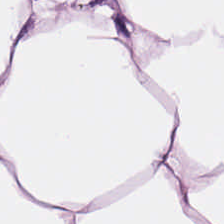Hematoxylin-and-eosin stained section; 0.5 microns per pixel; formalin-fixed paraffin-embedded section. Q: Classify this patch.
A: The field shows adipose.
